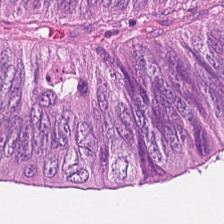Formalin-fixed paraffin-embedded section. 20× equivalent magnification. H&E-stained tissue section. Finding → tumor epithelium.
